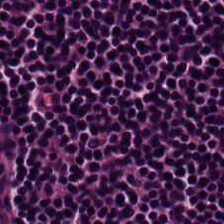Q: What is shown in this field?
A: This is lymphocytes.
